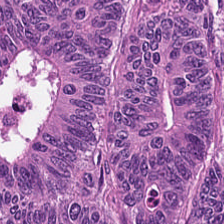H&E stain. Brightfield microscopy. Classification = colorectal adenocarcinoma epithelium.
